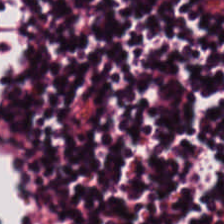224×224 px patch; FFPE; hematoxylin-and-eosin stained section.
Classification — lymphocyte aggregate.
